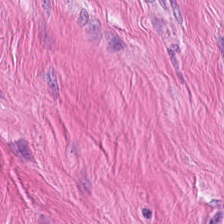H&E.
The tissue here is smooth muscle.
